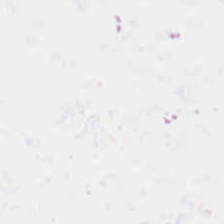Content: background (no tissue).
